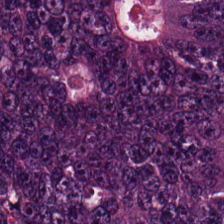Stain: hematoxylin and eosin.
Classification: malignant epithelium.
